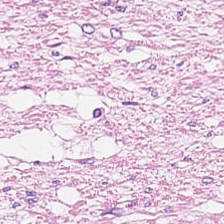Stain: H&E.
Preparation: FFPE tissue section.
Predominant tissue: smooth-muscle tissue.
